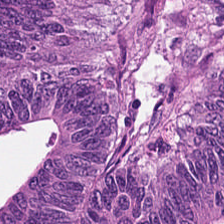H&E-stained tissue section — Tumor epithelium.
